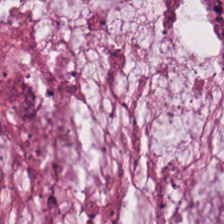H&E — This patch shows mucin.
